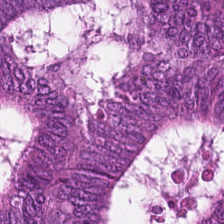Stain: H&E.
Predominant tissue: tumor epithelium.
